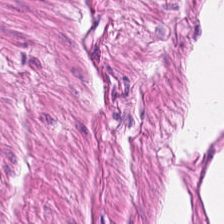H&E · FFPE tissue section · 224×224 px tile.
Predominantly muscularis.
